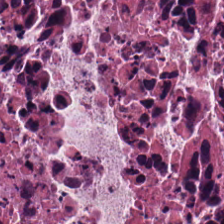H&E.
Classification — debris.
